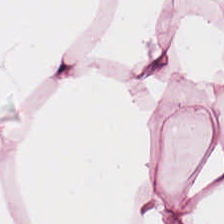The tissue here is adipocytes.
